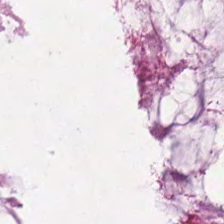H&E-stained section; the field shows mucin.
